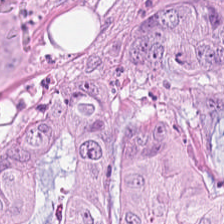224×224 px tile; H&E-stained tissue section; brightfield microscopy — The predominant tissue is tumor epithelium.
